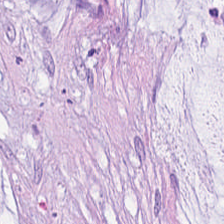Stain: hematoxylin and eosin.
Tissue: mucin.
